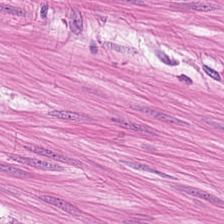Formalin-fixed paraffin-embedded section. 224×224 px patch. H&E — This patch shows smooth muscle.
